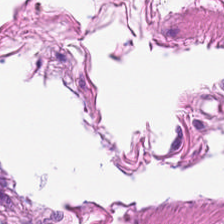FFPE · WSI patch · hematoxylin and eosin — Q: What is shown in this field?
A: Smooth muscle.
